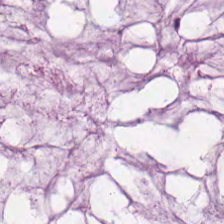224×224 px patch; H&E. The predominant tissue is mucin.
